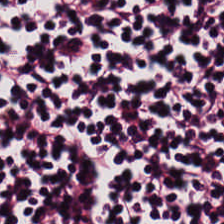Stain: H&E.
Predominant tissue: lymphocytes.
